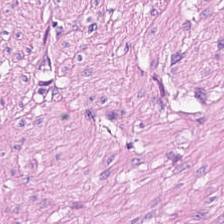Hematoxylin and eosin. This patch shows muscularis.
